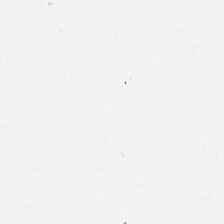H&E stain.
Q: What does this patch show?
A: The field shows background (no tissue).
